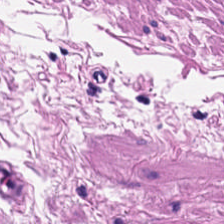H&E · formalin-fixed paraffin-embedded section — Predominantly smooth muscle.
